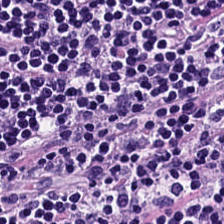Showing lymphocyte aggregate.
